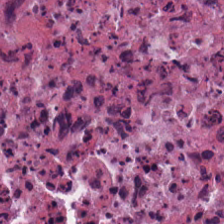Stain: hematoxylin and eosin.
Tissue class: debris.
